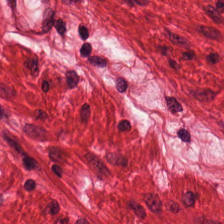Finding — smooth-muscle tissue.
